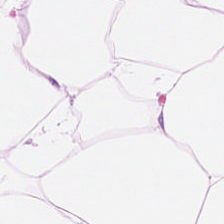20× equivalent magnification · H&E-stained tissue section. This patch shows adipose.
